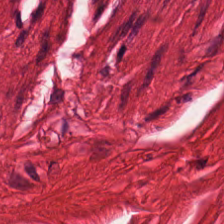H&E stain; whole-slide-image patch.
This field is smooth-muscle tissue.
